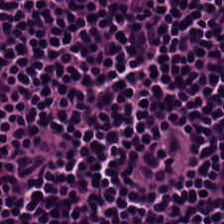Predominantly lymphoid infiltrate.
